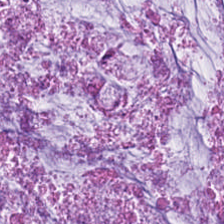224×224 pixel tile. H&E stain. Showing mucus.
